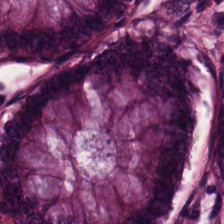Hematoxylin and eosin · 224×224 px patch. Predominantly non-neoplastic colon mucosa.
